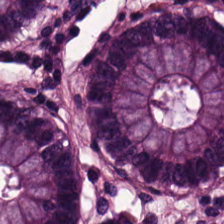Hematoxylin and eosin; whole-slide-image patch.
Predominantly normal colonic mucosa.
